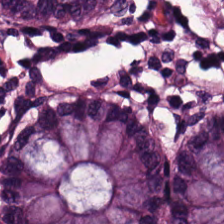Histology — normal colon mucosa.
